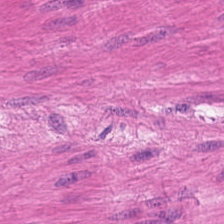Tissue type: smooth muscle.
